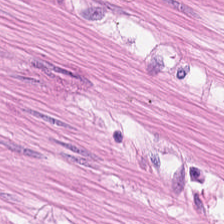H&E-stained tissue section.
Q: What tissue type is shown here?
A: Smooth-muscle tissue.
